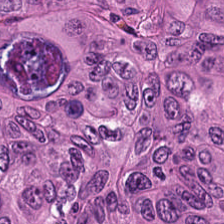H&E — Predominant tissue = tumor epithelium.
